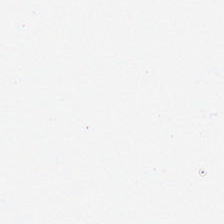H&E stain — Classification = empty background.
